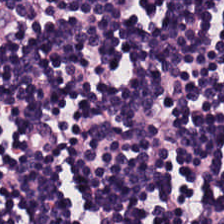Stain: hematoxylin and eosin.
Predominant tissue: lymphocytic infiltrate.
